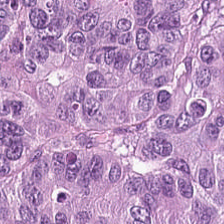H&E.
Q: What type of tissue is this?
A: Malignant epithelium.
